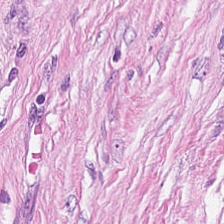Hematoxylin-and-eosin stained section.
The tissue here is tumor-associated stroma.
